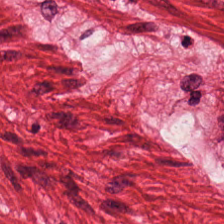Histology → smooth muscle.
